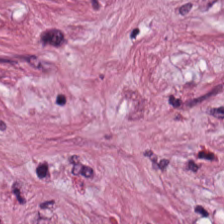The predominant tissue is cancer-associated stroma.
